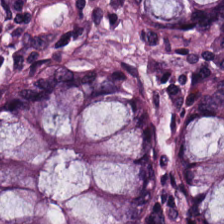H&E.
The predominant tissue is non-neoplastic colon mucosa.
